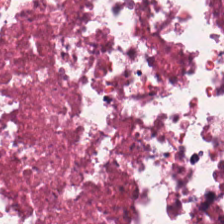H&E stain.
Showing necrotic debris.
